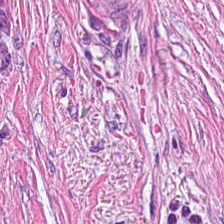Hematoxylin-and-eosin stained section. The predominant tissue is desmoplastic stroma.
